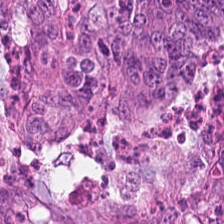Stain: H&E-stained tissue section.
Tissue class: malignant epithelium.
